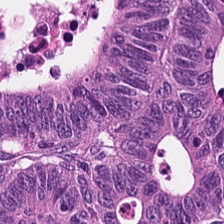H&E; 224×224 px tile; brightfield. The classification is colorectal adenocarcinoma.
